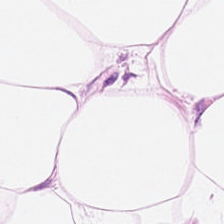H&E stain — Finding — adipose.
